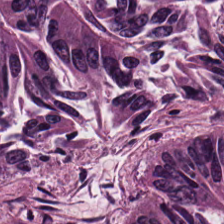Formalin-fixed paraffin-embedded section · hematoxylin-and-eosin stained section.
The predominant tissue is malignant epithelium.
